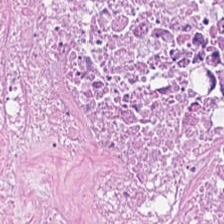Hematoxylin and eosin.
{"tissue_type": "necrotic debris"}
